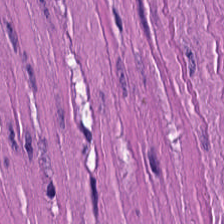Smooth-muscle tissue.
